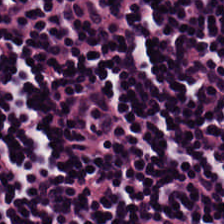The tissue class is lymphocytes.
